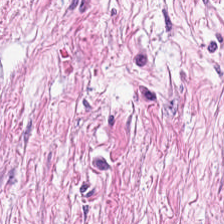H&E stain. The tissue here is tumor-associated stroma.
